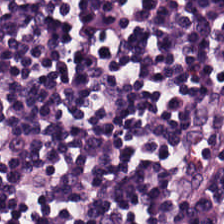FFPE tissue section · H&E-stained tissue section · 224×224 pixel tile — {"tissue_type": "lymphoid infiltrate"}
